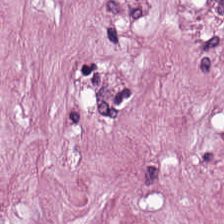Hematoxylin-and-eosin stained section — The tissue class is tumor stroma.
